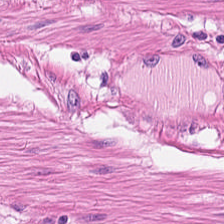H&E; 0.5 µm per pixel; formalin-fixed paraffin-embedded section. This field is muscularis.
